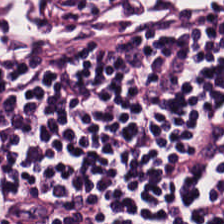Q: What tissue is shown?
A: This is lymphocytic infiltrate.
